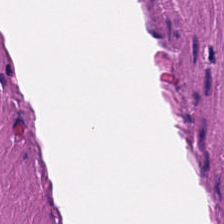WSI patch. H&E — Histology — smooth muscle.
